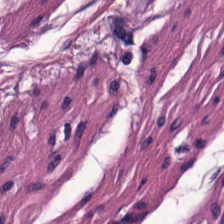Brightfield microscopy · formalin-fixed paraffin-embedded section · H&E — Tissue class — smooth muscle.
